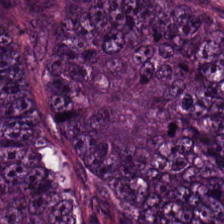Brightfield; H&E-stained tissue section. This patch shows colorectal adenocarcinoma.
